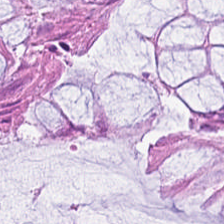Tissue: benign colonic mucosa.
